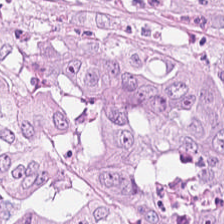Hematoxylin and eosin.
This field is adenocarcinoma.
